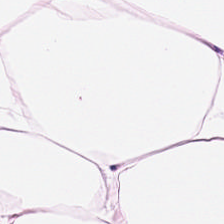0.5 µm per pixel · brightfield · H&E — This patch shows adipocytes.
